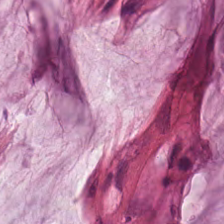Hematoxylin-and-eosin stained section.
The tissue here is extracellular mucin.
